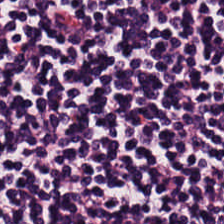H&E · 224×224 px tile · whole-slide-image patch — This patch shows lymphocytes.
